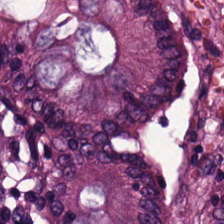H&E-stained tissue section — Non-neoplastic colon mucosa.
